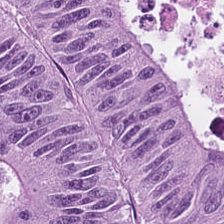224×224 px tile · hematoxylin and eosin · WSI patch — Tissue = tumor epithelium.
